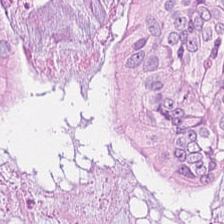H&E. Q: Classify this patch.
A: Tumor epithelium.
